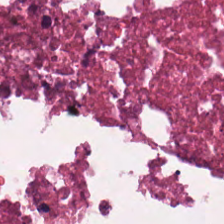Hematoxylin-and-eosin stained section.
Finding → debris.
